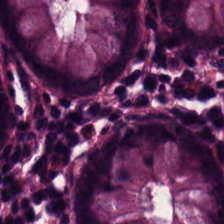H&E stain. Histology → non-neoplastic colon mucosa.
